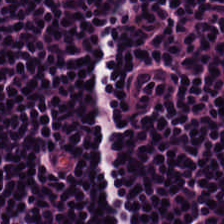Stain: hematoxylin and eosin.
Tile size: 224×224 pixel tile.
Classification: lymphocytes.
